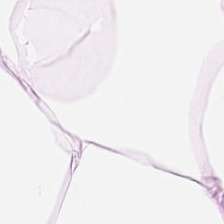Stain: H&E stain.
Resolution: 0.5 µm per pixel.
Acquisition: brightfield.
Predominant tissue: adipose.
